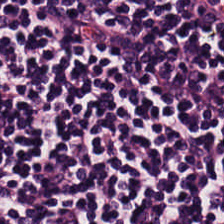H&E stain; 0.5 µm per pixel; whole-slide-image patch — Predominant tissue — lymphocyte aggregate.
